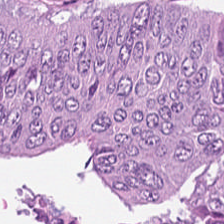Classification — colorectal adenocarcinoma epithelium.
